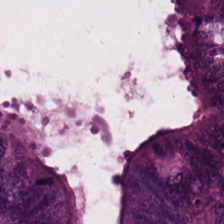Hematoxylin and eosin. The classification is tumor epithelium.
